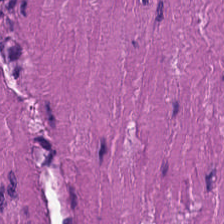Stain: H&E.
Acquisition: brightfield microscopy.
Tissue: muscularis.
